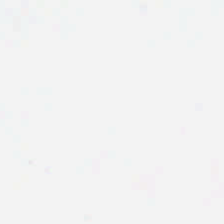No tissue present; background only.
